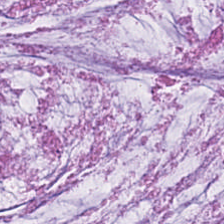H&E stain; brightfield — Showing mucus.
